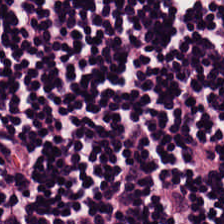Tissue = lymphoid infiltrate.
